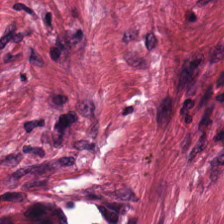H&E. 224×224 px tile — This field is cancer-associated stroma.
